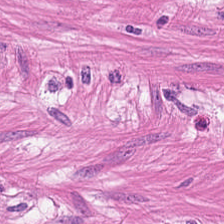Stain: H&E-stained tissue section.
Acquisition: WSI patch.
Predominant tissue: muscularis.
